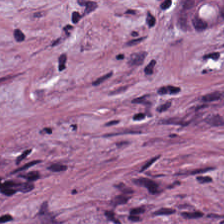Hematoxylin-and-eosin stained section — Q: What is the predominant tissue type?
A: This is desmoplastic stroma.
